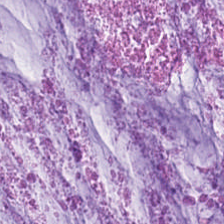0.5 µm per pixel; H&E-stained tissue section — Tissue = mucin.
